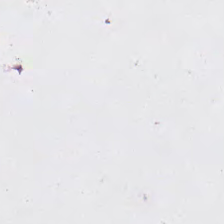224×224 px patch · H&E · FFPE tissue section. Empty field — background (no tissue).
